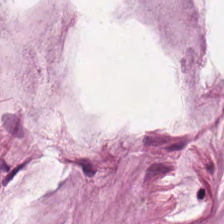Tissue class: mucin.
